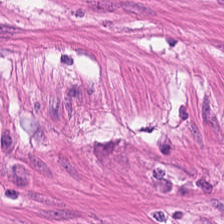FFPE tissue section · H&E-stained tissue section — This patch shows smooth-muscle tissue.
